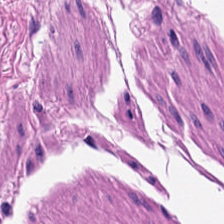Hematoxylin and eosin. Predominantly smooth muscle.
